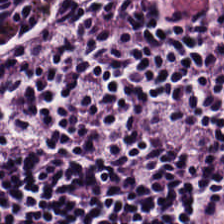224×224 px patch. H&E-stained tissue section. Brightfield microscopy. {"tissue_type": "lymphoid infiltrate"}
